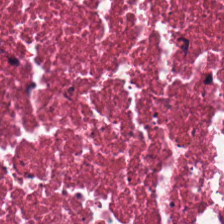H&E-stained tissue section showing necrotic debris.
